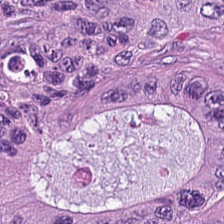H&E — Classification = malignant epithelium.
